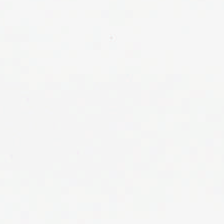Stain: H&E stain.
Field content: background.
